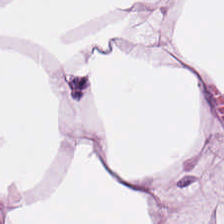0.5 µm per pixel. H&E — Q: Identify the tissue.
A: Adipose tissue.
